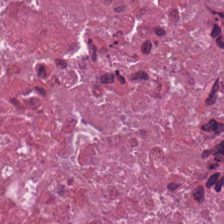Tissue type = debris.
